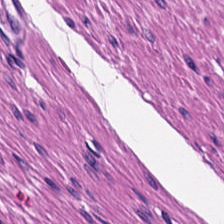224×224 px tile · 0.5 µm/px · hematoxylin-and-eosin stained section. Q: What type of tissue is this?
A: This is muscularis.
